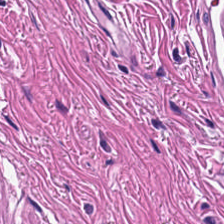224×224 px tile; H&E — This field is smooth muscle.
